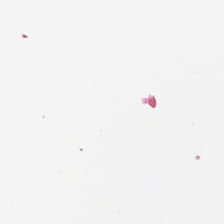Whole-slide-image patch; H&E; 0.5 microns per pixel. Background — no tissue in this field.
